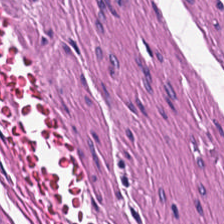H&E stain. Smooth-muscle tissue.
